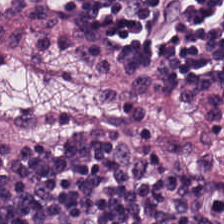Hematoxylin and eosin — Impression → lymphocytes.
